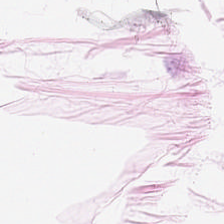Stain: H&E stain.
Classification: adipocytes.
